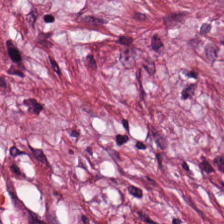H&E stain · FFPE. Tissue class — cancer-associated stroma.
